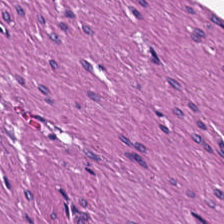Hematoxylin-and-eosin stained section.
Tissue type = smooth-muscle tissue.
